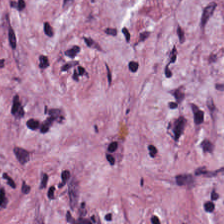Stain: H&E-stained tissue section.
Classification: cancer-associated stroma.
